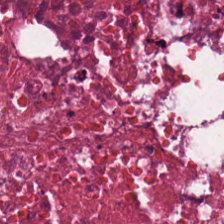Hematoxylin-and-eosin stained section.
Tissue = cellular debris.
